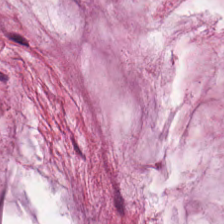H&E stain.
{"tissue_type": "extracellular mucin"}
